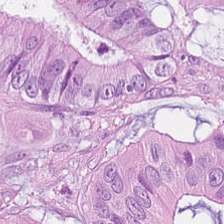H&E patch showing colorectal adenocarcinoma epithelium.
